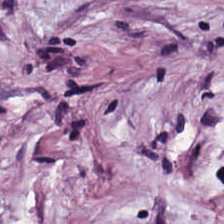H&E-stained tissue section.
Impression — cancer-associated stroma.
